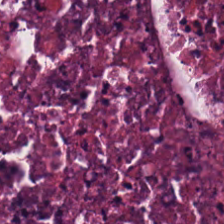Hematoxylin and eosin. Tissue = debris.
